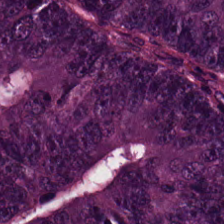224×224 px patch; H&E stain — Classification = colorectal adenocarcinoma.
